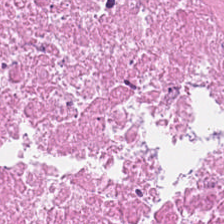H&E stain. Tissue type: cellular debris.
